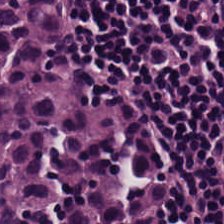224×224 pixel tile · H&E-stained tissue section. Predominantly lymphoid infiltrate.
